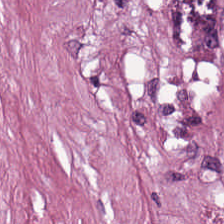H&E.
Desmoplastic stroma.
